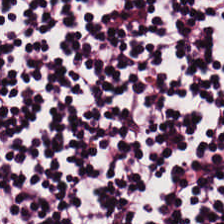224×224 px tile; formalin-fixed paraffin-embedded section; hematoxylin and eosin.
Predominantly lymphocytic infiltrate.
